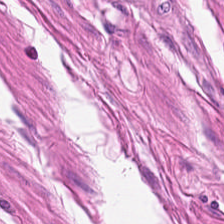Hematoxylin and eosin.
Predominant tissue = smooth muscle.
